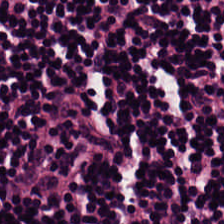Hematoxylin-and-eosin section: lymphocyte aggregate.
